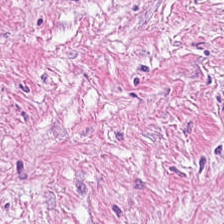Tissue type: tumor-associated stroma.
